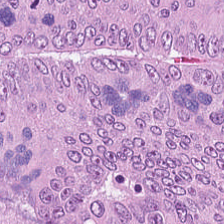H&E-stained tissue section. Classification = tumor epithelium.
